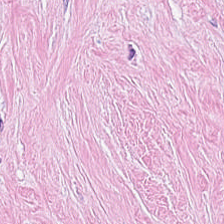H&E — Q: Identify the tissue.
A: It is tumor stroma.
